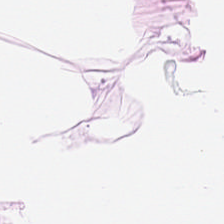Stain: H&E-stained tissue section.
Classification: adipose.
